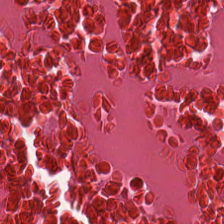H&E-stained section; the field shows debris.
